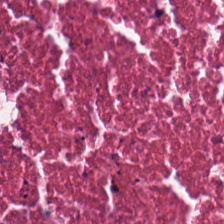H&E · 20× equivalent magnification. The predominant tissue is necrotic debris.
